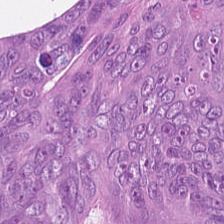Formalin-fixed paraffin-embedded section · H&E stain · 224×224 pixel tile — Impression — malignant epithelium.
